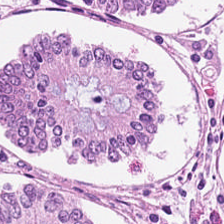Stain: hematoxylin and eosin.
Tile size: 224×224 pixel tile.
Classification: normal colon mucosa.
